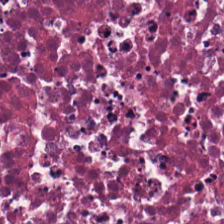Formalin-fixed paraffin-embedded section · H&E stain · brightfield microscopy.
{"tissue_type": "necrotic debris"}
